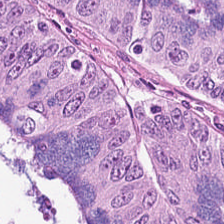Hematoxylin-and-eosin stained section — Q: Classify this patch.
A: The field shows tumor epithelium.
